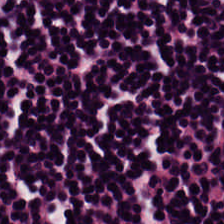H&E-stained tissue section.
Q: Identify the tissue.
A: This is lymphocytes.
